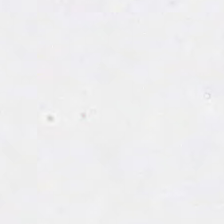H&E stain.
This field is background (no tissue).
